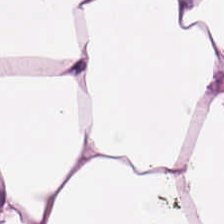Predominant tissue = fat tissue.
